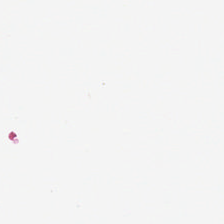Formalin-fixed paraffin-embedded section; H&E-stained tissue section. Impression → no tissue.
